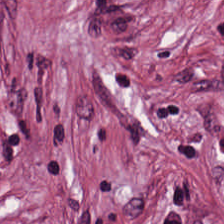Hematoxylin and eosin. Formalin-fixed paraffin-embedded section. 224×224 px patch. Q: What is the predominant tissue type?
A: This is cancer-associated stroma.
